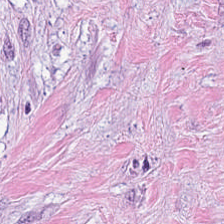Hematoxylin and eosin. {"tissue_type": "cancer-associated stroma"}
